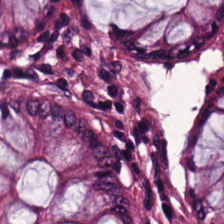H&E patch showing normal colon mucosa.
